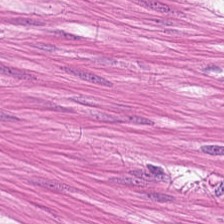H&E-stained tissue section. Formalin-fixed paraffin-embedded section. 0.5 µm/px. Q: Classify this patch.
A: Muscularis.
